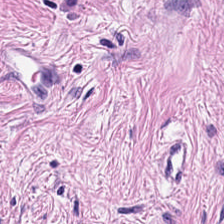Hematoxylin-and-eosin stained section — Q: Identify the tissue.
A: Tumor-associated stroma.
